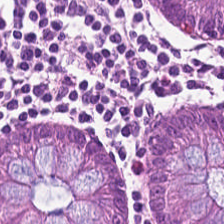Tissue: non-neoplastic colon mucosa.
